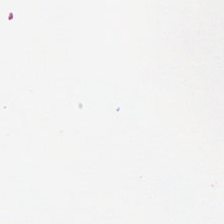H&E — Background — no tissue in this field.
